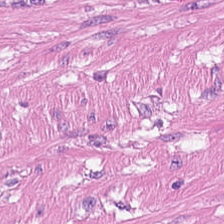H&E stain.
This field is muscularis.
